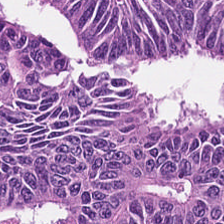H&E stain — Tissue = colorectal adenocarcinoma.
